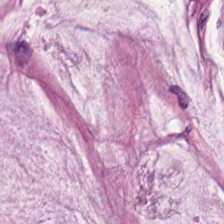Showing extracellular mucin.
